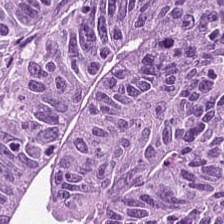The classification is colorectal adenocarcinoma.
